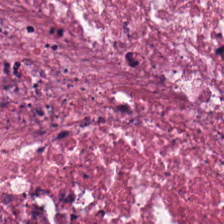H&E stain — This patch shows necrotic debris.
